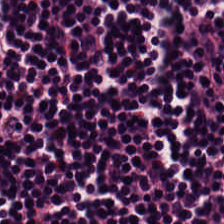Q: What tissue is shown?
A: It is lymphocytes.
